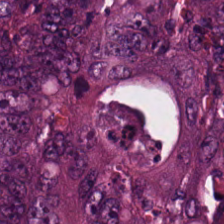Stain: H&E stain.
Tissue type: colorectal adenocarcinoma.
